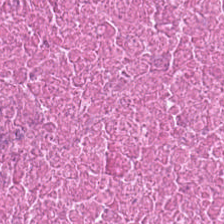H&E-stained tissue section; FFPE tissue section. The predominant tissue is necrotic debris.
